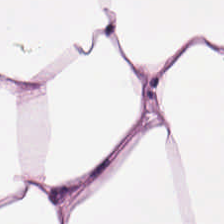H&E-stained tissue section. Predominantly adipocytes.
